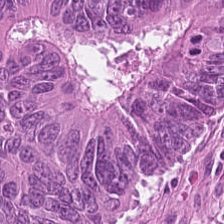Classification: malignant epithelium.
